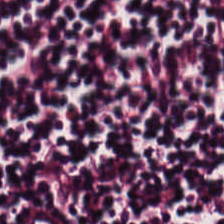Hematoxylin-and-eosin stained section; 0.5 µm per pixel; WSI patch. This field is lymphocyte aggregate.
